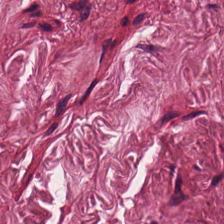H&E — Q: What is the predominant tissue type?
A: This is tumor-associated stroma.
